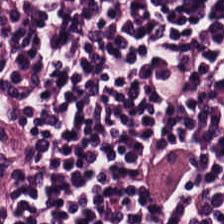Finding — lymphocyte aggregate.
